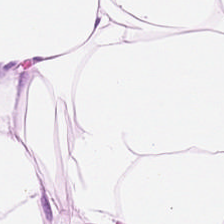H&E — fat tissue.
